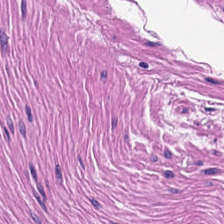Hematoxylin and eosin. Tissue class = smooth-muscle tissue.
